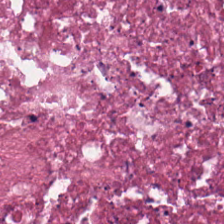H&E. 0.5 µm per pixel. The predominant tissue is cellular debris.
